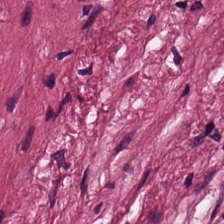Hematoxylin-and-eosin stained section.
Histology → tumor-associated stroma.
